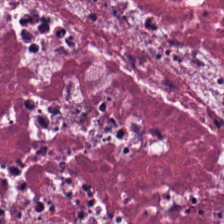Brightfield · hematoxylin and eosin · 224×224 px tile — Q: What is the predominant tissue type?
A: It is necrotic debris.
